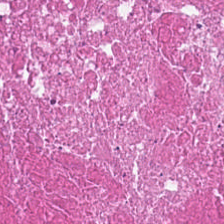H&E stain.
The tissue is necrotic debris.
